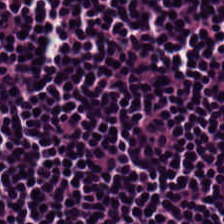Hematoxylin and eosin; 224×224 px tile.
Q: What is shown in this field?
A: Lymphocyte aggregate.
